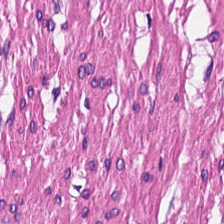H&E-stained tissue section. 20× equivalent magnification — This field is muscularis.
